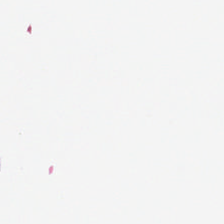H&E-stained tissue section.
Background (no tissue).
